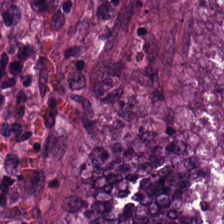Hematoxylin-and-eosin stained section. Showing colorectal adenocarcinoma epithelium.
